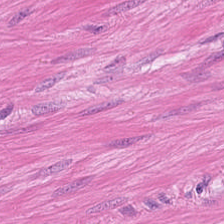H&E-stained tissue section; brightfield.
This field is smooth-muscle tissue.
